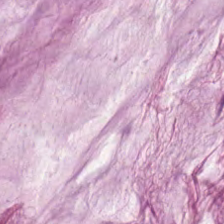Formalin-fixed paraffin-embedded section; H&E stain. The tissue here is extracellular mucin.
